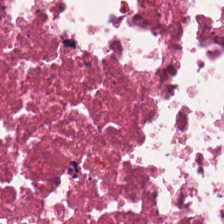H&E — cellular debris.
